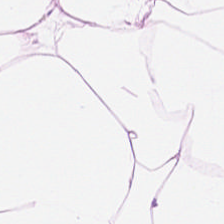H&E stain.
The predominant tissue is adipose.
